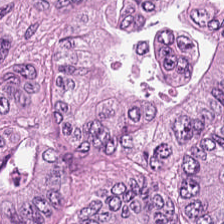H&E — Finding — tumor epithelium.
